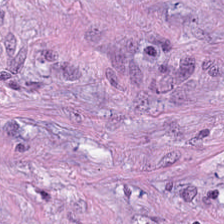224×224 px tile; H&E. The predominant tissue is desmoplastic stroma.
